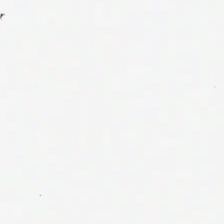H&E stain — No tissue present; background only.
